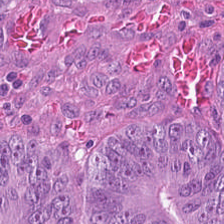Hematoxylin-and-eosin stained section. 0.5 µm per pixel. Tissue type = malignant epithelium.
